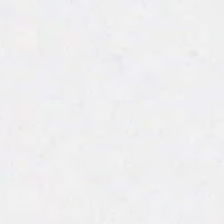Q: What is shown here?
A: Background (no tissue).
